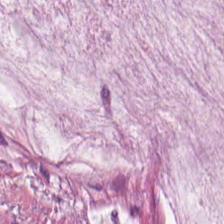Hematoxylin-and-eosin stained section — Impression — mucus.
